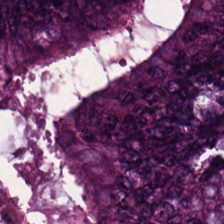H&E-stained tissue section; FFPE tissue section; 0.5 microns per pixel.
Tissue = malignant epithelium.
